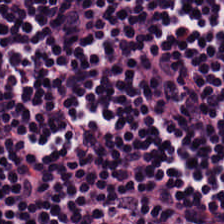Brightfield. H&E. FFPE — Predominantly lymphoid infiltrate.
